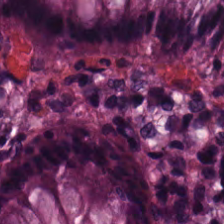FFPE tissue section; hematoxylin and eosin — The predominant tissue is normal colonic mucosa.
